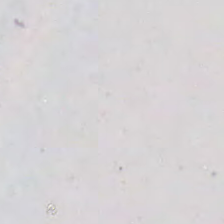Hematoxylin-and-eosin stained section. Formalin-fixed paraffin-embedded section.
Field content — background.
